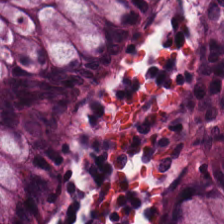H&E stain.
Predominant tissue = normal colon mucosa.
